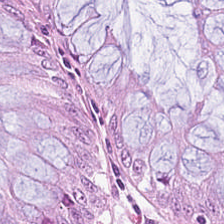H&E-stained tissue section. FFPE.
Q: What is shown here?
A: This is normal colon mucosa.
